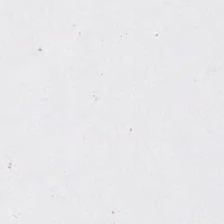0.5 µm/px. H&E-stained tissue section. FFPE tissue section.
Field content: background (no tissue).
